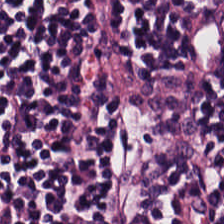H&E-stained tissue section. Tissue type: lymphoid infiltrate.
